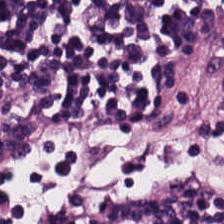H&E-stained tissue section — Tissue class = lymphocytes.
